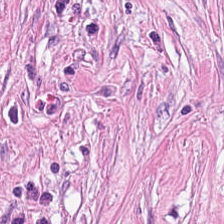H&E stain.
Tumor stroma.
